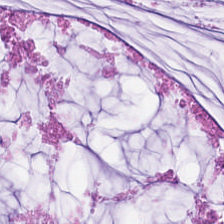H&E stain · 224×224 pixel tile. Tissue type = mucus.
